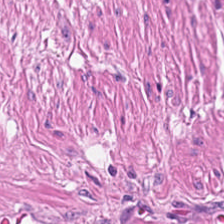Hematoxylin and eosin. FFPE — The predominant tissue is muscularis.
